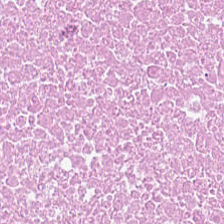Hematoxylin and eosin. 224×224 px tile. Classification: debris.
